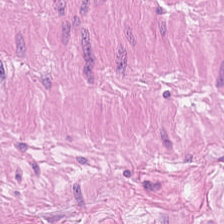Hematoxylin-and-eosin stained section; brightfield. Impression → muscularis.
